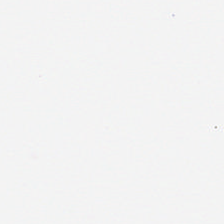H&E. Content — background.
